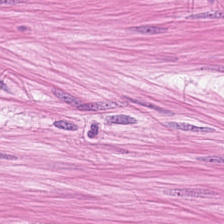H&E-stained tissue section. The tissue class is smooth muscle.
